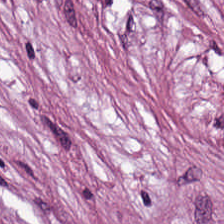H&E — Tissue type: tumor-associated stroma.
